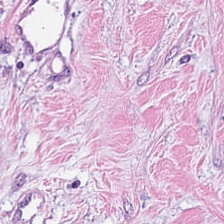Hematoxylin-and-eosin stained section. The predominant tissue is cancer-associated stroma.
